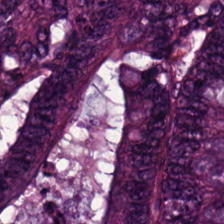H&E stain.
Q: What is shown in this field?
A: This is colorectal adenocarcinoma epithelium.
